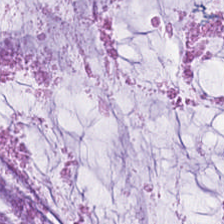FFPE · H&E stain — This patch shows extracellular mucin.
